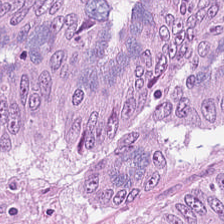H&E stain. Brightfield. This patch shows malignant epithelium.
